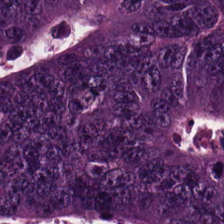224×224 px patch. H&E. 0.5 microns per pixel — Q: What tissue is shown?
A: The field shows adenocarcinoma.
